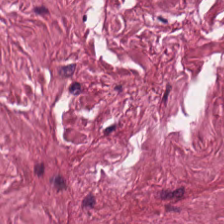Stain: H&E.
Preparation: FFPE tissue section.
Tissue type: desmoplastic stroma.
